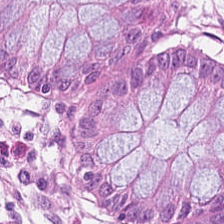Q: Identify the tissue.
A: This is normal colonic mucosa.
